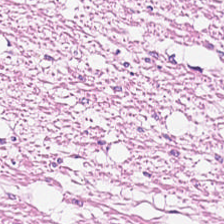0.5 µm/px; H&E stain. Finding → muscularis.
